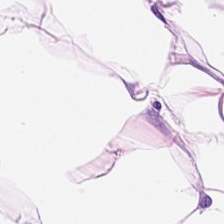Brightfield · hematoxylin and eosin — Tissue class: adipocytes.
